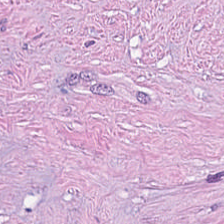Hematoxylin and eosin — Predominantly necrotic debris.
